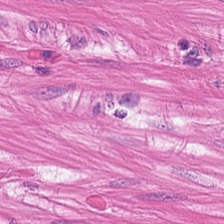Stain: H&E stain.
Acquisition: WSI patch.
Tissue: smooth-muscle tissue.
